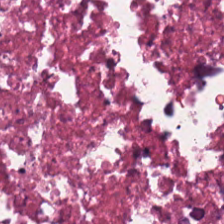0.5 microns per pixel · H&E stain. Histology → debris.
